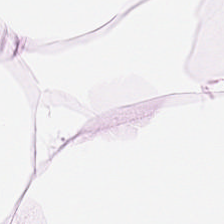H&E stain — Q: Classify this patch.
A: This is adipocytes.
